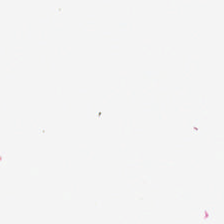No tissue.
